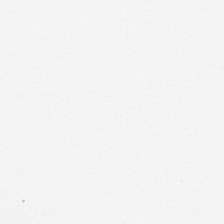Hematoxylin and eosin. Empty field — background.
